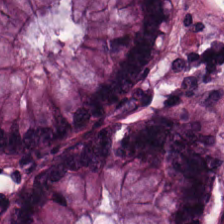H&E-stained tissue section — The predominant tissue is benign colonic mucosa.
